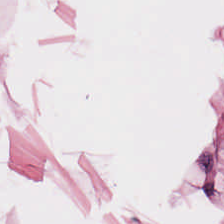Hematoxylin-and-eosin stained section · FFPE tissue section — The predominant tissue is adipocytes.
